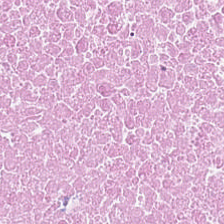Hematoxylin-and-eosin stained section. 224×224 pixel tile.
The predominant tissue is necrotic debris.
